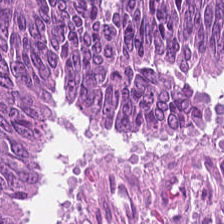Hematoxylin-and-eosin stained section. This field is colorectal adenocarcinoma.
